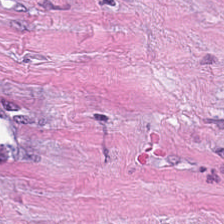The tissue is desmoplastic stroma.
